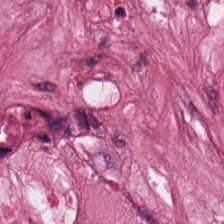224×224 px tile; H&E-stained tissue section; FFPE — Q: What tissue is shown?
A: Desmoplastic stroma.
